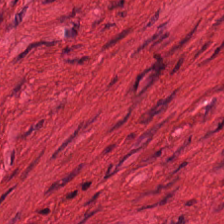H&E-stained section; the field shows smooth-muscle tissue.
